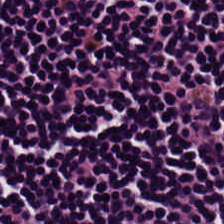Stain: H&E.
Tissue class: lymphocytes.
